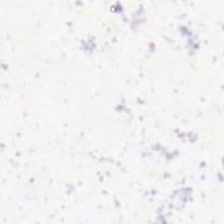0.5 µm per pixel · hematoxylin and eosin — No tissue present; background only.
